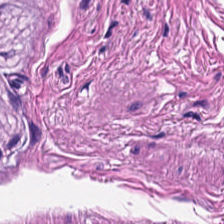Q: Classify this patch.
A: It is smooth-muscle tissue.
